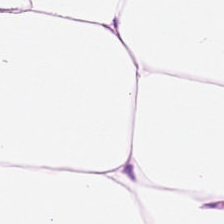Stain: hematoxylin and eosin.
Resolution: 0.5 microns per pixel.
Tissue class: adipocytes.
